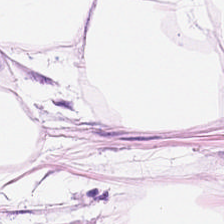H&E-stained tissue section. Tissue class = fat tissue.
